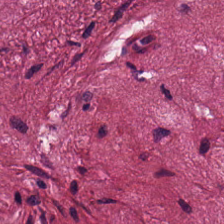H&E; 224×224 pixel tile. The tissue here is tumor stroma.
